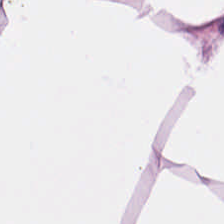Stain: hematoxylin and eosin.
Tissue: fat tissue.
